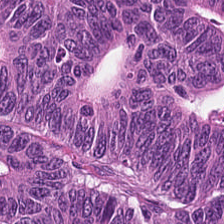Stain: H&E stain.
Classification: malignant epithelium.
